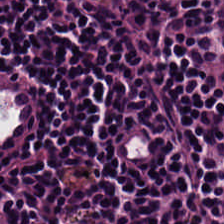Stain: H&E-stained tissue section.
Tile size: 224×224 px tile.
Acquisition: brightfield.
Classification: lymphoid infiltrate.
